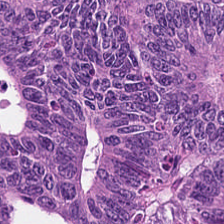Hematoxylin and eosin; FFPE; 224×224 px tile. Showing adenocarcinoma.
